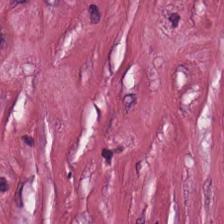Hematoxylin-and-eosin stained section. Q: What is shown in this field?
A: It is desmoplastic stroma.
